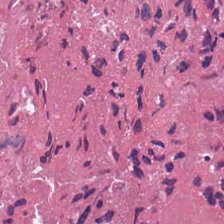H&E-stained tissue section.
Debris.
